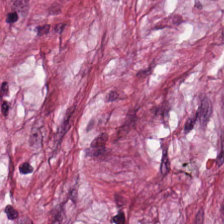224×224 px tile; H&E. Histology → tumor stroma.
